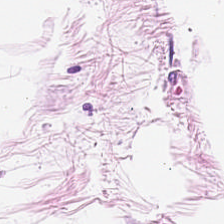H&E; 0.5 µm per pixel. The tissue is adipose tissue.
